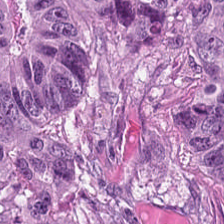The predominant tissue is tumor epithelium.
